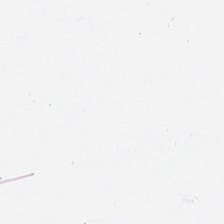Hematoxylin-and-eosin stained section. Q: What type of tissue is this?
A: This is adipose.
